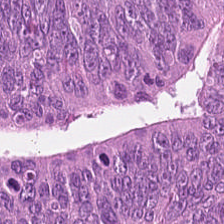Predominantly malignant epithelium.
